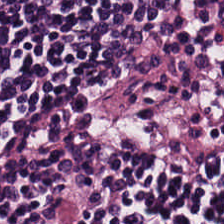Stain: H&E.
Acquisition: WSI patch.
Classification: lymphocytes.
